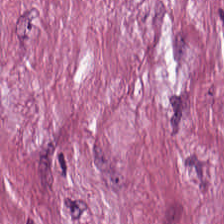Stain: H&E.
Predominant tissue: desmoplastic stroma.
